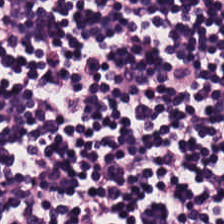Tissue class: lymphoid infiltrate.
